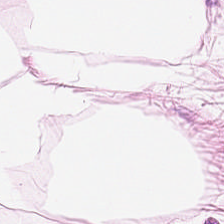Brightfield microscopy · hematoxylin-and-eosin stained section. Histology → fat tissue.
